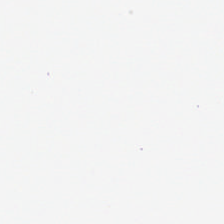H&E. Empty background.
